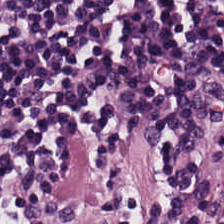H&E stain.
Showing lymphocytic infiltrate.
